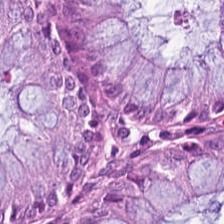H&E-stained tissue section · 224×224 px tile. {"tissue_type": "non-neoplastic colon mucosa"}
